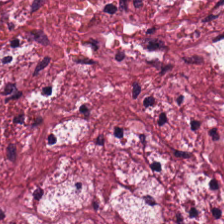Hematoxylin and eosin — This patch shows desmoplastic stroma.
